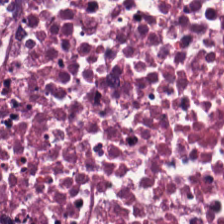224×224 px patch; hematoxylin-and-eosin stained section — Classification: cellular debris.
